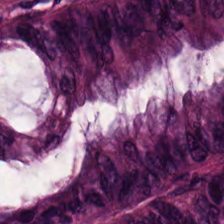Stain: hematoxylin and eosin.
Preparation: FFPE tissue section.
Classification: colorectal adenocarcinoma epithelium.
